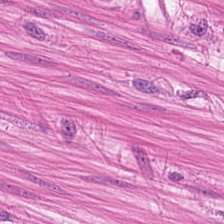Formalin-fixed paraffin-embedded section; 0.5 µm per pixel; H&E. Muscularis.
